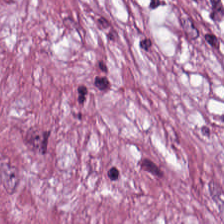Hematoxylin and eosin.
Q: What is the predominant tissue type?
A: Tumor-associated stroma.
